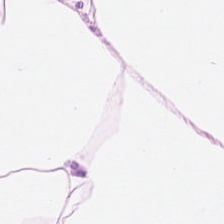FFPE · H&E stain · 224×224 px patch — Tissue type — fat tissue.
